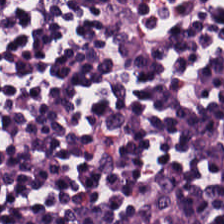Hematoxylin and eosin — Tissue class = lymphocyte aggregate.
